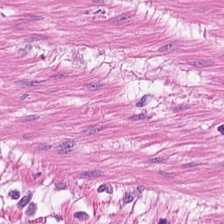H&E stain.
Q: What is shown in this field?
A: Smooth muscle.
